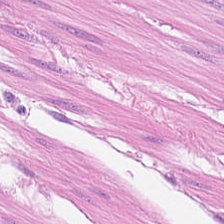The tissue here is smooth muscle.
